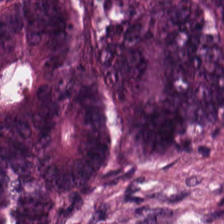FFPE. H&E. 0.5 µm/px.
Tissue — colorectal adenocarcinoma epithelium.
